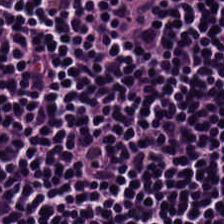Stain: H&E-stained tissue section.
Predominant tissue: lymphocytic infiltrate.
